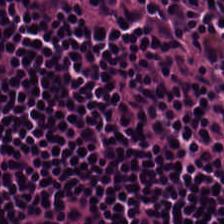Hematoxylin-and-eosin stained section.
This patch shows lymphocytes.
